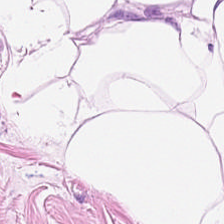The predominant tissue is adipose.
